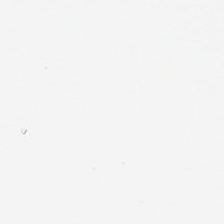H&E-stained tissue section.
Content: no tissue.
